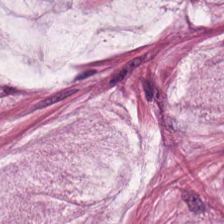Predominantly mucus.
